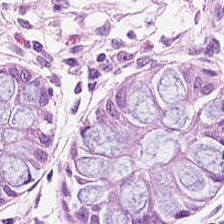H&E-stained tissue section. The predominant tissue is non-neoplastic colon mucosa.
